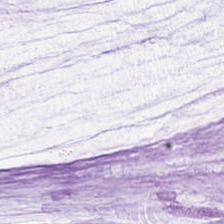H&E-stained tissue section — Mucin.
